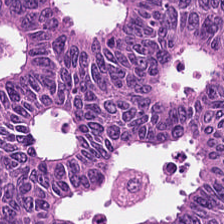H&E stain.
Tissue — malignant epithelium.
